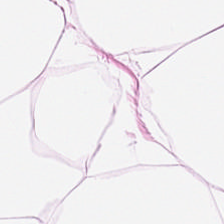Stain: H&E stain.
Tile size: 224×224 px tile.
Tissue type: fat tissue.
